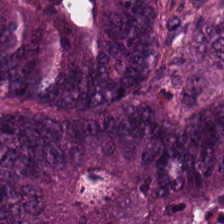0.5 µm per pixel · 224×224 pixel tile · H&E — This patch shows colorectal adenocarcinoma.
